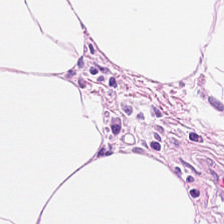H&E.
Tissue = fat tissue.
